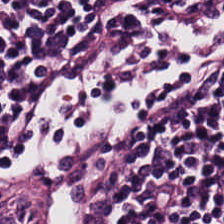Hematoxylin and eosin. This patch shows lymphocyte aggregate.
